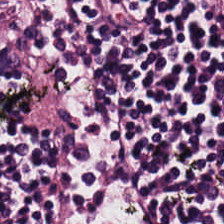Hematoxylin-and-eosin stained section — {"tissue_type": "lymphocytic infiltrate"}
